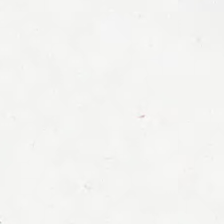Q: Classify this patch.
A: It is empty background.
